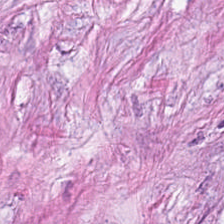Predominantly desmoplastic stroma.
